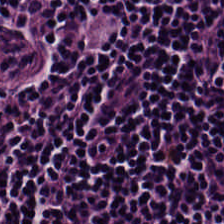Hematoxylin and eosin.
Predominantly lymphocytic infiltrate.
